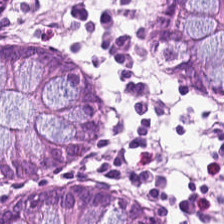H&E-stained tissue section. This field is non-neoplastic colon mucosa.
